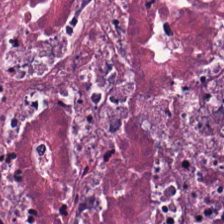Classification: debris.
